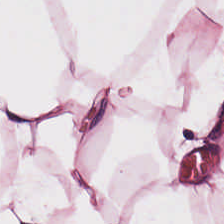Stain: H&E stain.
Resolution: 0.5 microns per pixel.
Classification: fat tissue.
